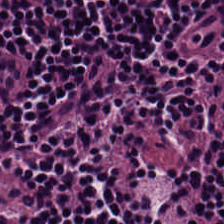H&E stain.
Q: What tissue type is shown here?
A: Lymphocyte aggregate.
